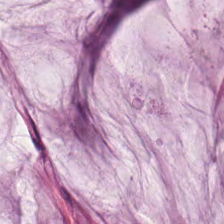Hematoxylin and eosin. This field is mucin.
